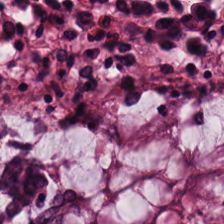H&E. Brightfield — Q: Classify this patch.
A: This is non-neoplastic colon mucosa.
